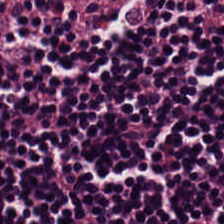Classification — lymphocyte aggregate.
